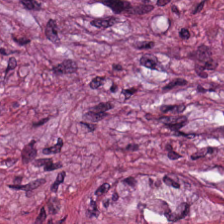H&E-stained tissue section. This patch shows tumor stroma.
